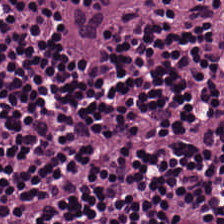H&E stain. {"tissue_type": "lymphocytes"}
